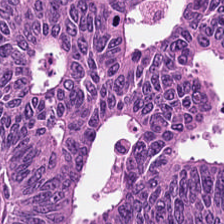Stain: H&E-stained tissue section.
Classification: adenocarcinoma.
